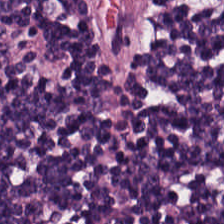Stain: H&E stain.
Acquisition: brightfield.
Tissue class: lymphocytes.
